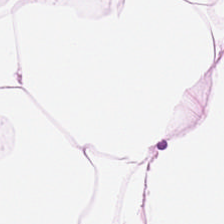H&E-stained tissue section — Showing fat tissue.
